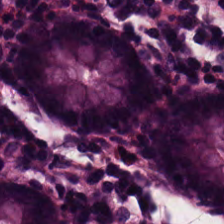Stain: H&E-stained tissue section.
Acquisition: brightfield.
Predominant tissue: normal colonic mucosa.
